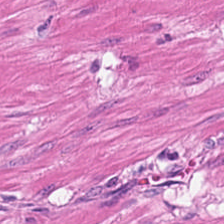0.5 µm per pixel · hematoxylin and eosin — Predominant tissue: muscularis.
